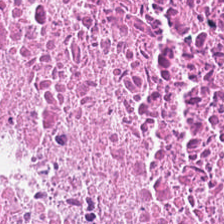Hematoxylin-and-eosin stained section. Finding → necrotic debris.
